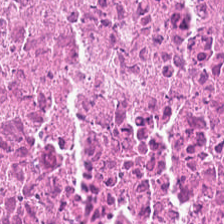Hematoxylin-and-eosin stained section — Predominantly cellular debris.
